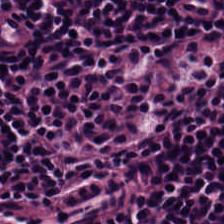Hematoxylin-and-eosin stained section. Q: What tissue type is shown here?
A: This is lymphocyte aggregate.
